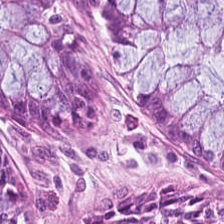Hematoxylin-and-eosin stained section · brightfield microscopy · 20× equivalent magnification.
{"tissue_type": "non-neoplastic colon mucosa"}
